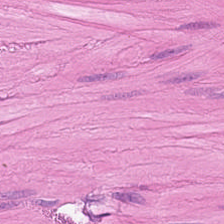Tissue — smooth-muscle tissue.
